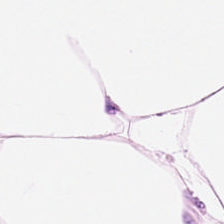H&E-stained tissue section — This patch shows fat tissue.
